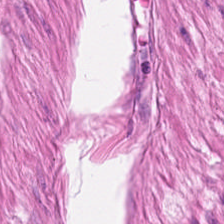H&E; 224×224 px tile.
This field is muscularis.
